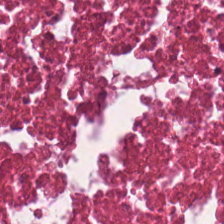Tissue type: necrotic debris.
